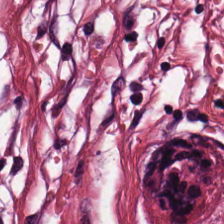Impression → cancer-associated stroma.
